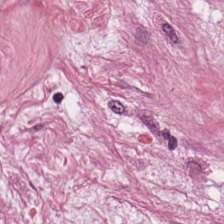H&E — Tumor stroma.
